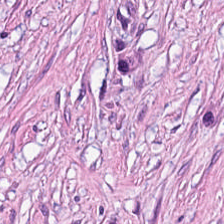H&E stain. Desmoplastic stroma.
